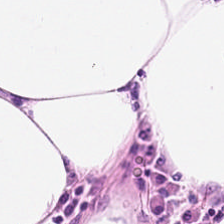Hematoxylin-and-eosin stained section. Tissue class = adipocytes.
